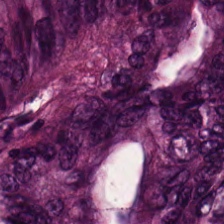224×224 px patch; 0.5 µm/px; hematoxylin and eosin — Colorectal adenocarcinoma.
